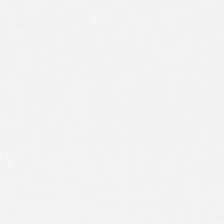H&E-stained tissue section. 224×224 pixel tile. The field content is no tissue.
